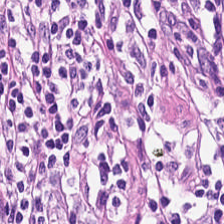H&E — {"tissue_type": "lymphocytic infiltrate"}
